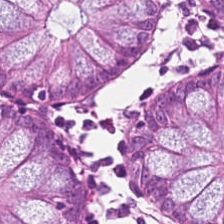H&E stain — Benign colonic mucosa.
